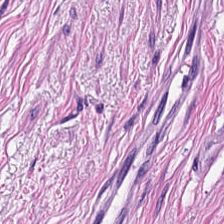Hematoxylin-and-eosin section: smooth-muscle tissue.
